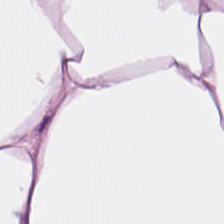Showing adipocytes.
